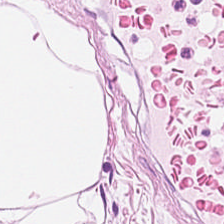Formalin-fixed paraffin-embedded section; H&E; 224×224 px tile.
Adipocytes.
